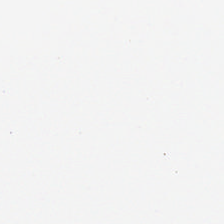0.5 microns per pixel · FFPE tissue section · H&E stain. Empty field — background (no tissue).
